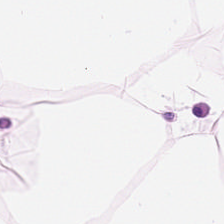0.5 µm/px · H&E — The tissue is adipose.
